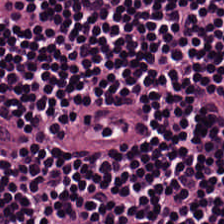The tissue here is lymphocyte aggregate.
